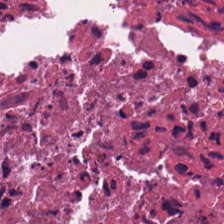H&E.
The tissue class is cellular debris.
